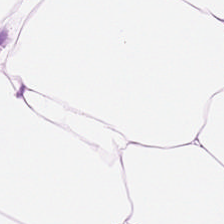224×224 pixel tile. Hematoxylin and eosin. Tissue type = fat tissue.
